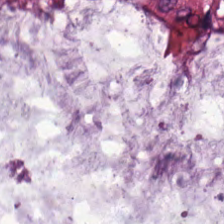H&E-stained tissue section. The predominant tissue is mucin.
